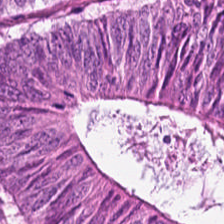H&E stain. This field is tumor epithelium.
